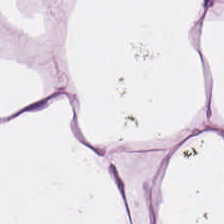0.5 microns per pixel · hematoxylin-and-eosin stained section — Classification = adipocytes.
